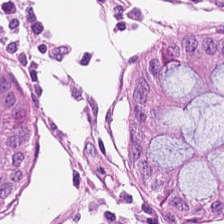Q: Identify the tissue.
A: The field shows normal colon mucosa.
